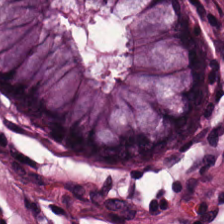224×224 px tile. 0.5 microns per pixel. Hematoxylin and eosin.
Tissue type: benign colonic mucosa.
